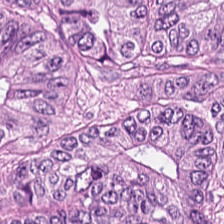H&E stain · whole-slide-image patch — {"tissue_type": "tumor epithelium"}
